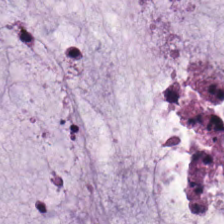0.5 microns per pixel; hematoxylin-and-eosin stained section.
This field is mucus.
